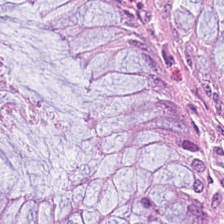H&E-stained tissue section. This patch shows non-neoplastic colon mucosa.
